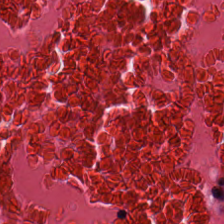H&E-stained tissue section — {"tissue_type": "debris"}
